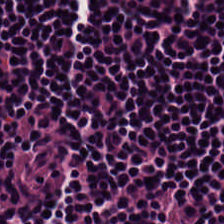224×224 px patch · hematoxylin-and-eosin stained section.
This patch shows lymphocyte aggregate.
